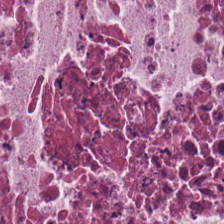20× equivalent magnification · hematoxylin and eosin — {"tissue_type": "necrotic debris"}
